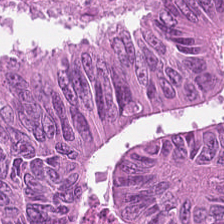H&E stain. This patch shows colorectal adenocarcinoma.
